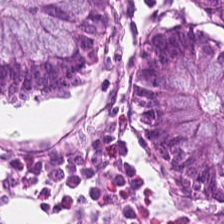Stain: H&E.
Acquisition: brightfield.
Tissue type: normal colonic mucosa.
